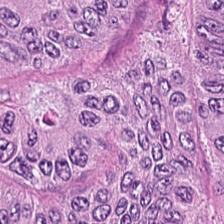H&E-stained tissue section · brightfield microscopy. Finding → colorectal adenocarcinoma.
